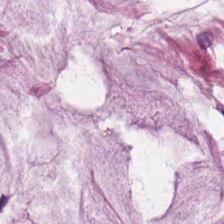Finding → mucus.
